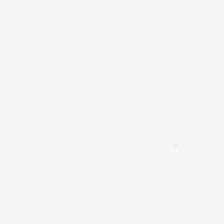Finding → empty background.
